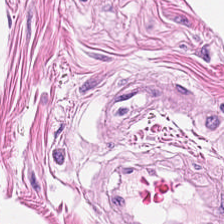The tissue type is smooth-muscle tissue.
